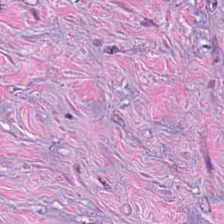Stain: hematoxylin and eosin.
Tissue class: tumor-associated stroma.
